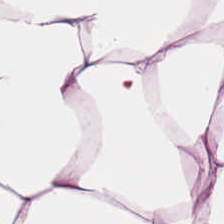Stain: hematoxylin and eosin.
Tissue class: fat tissue.
